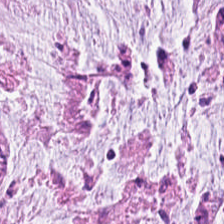Hematoxylin and eosin.
Tissue class = mucin.
